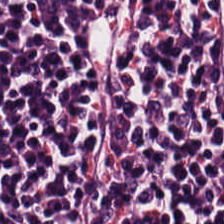Stain: hematoxylin-and-eosin stained section.
Resolution: 0.5 microns per pixel.
Classification: lymphocytes.
